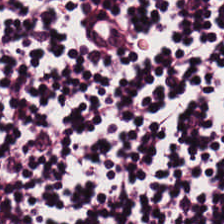This field is lymphocyte aggregate.
